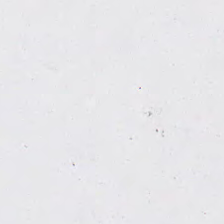Stain: hematoxylin and eosin.
Classification: no tissue.
